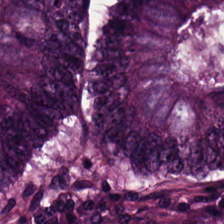20× equivalent magnification. H&E stain. 224×224 px patch. This patch shows tumor epithelium.
